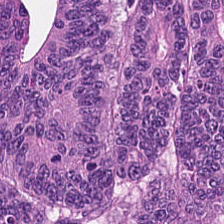Formalin-fixed paraffin-embedded section · H&E stain.
Q: What tissue is shown?
A: This is colorectal adenocarcinoma epithelium.
